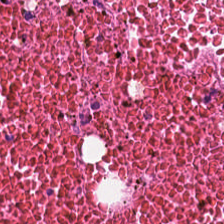Hematoxylin-and-eosin stained section. Q: What does this patch show?
A: Necrotic debris.
